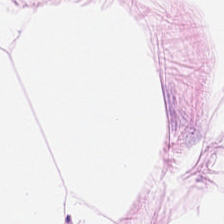H&E — adipose tissue.
